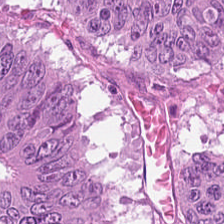Q: What does this patch show?
A: The field shows colorectal adenocarcinoma epithelium.
